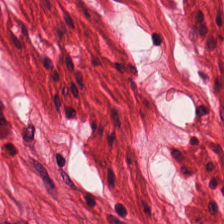H&E-stained tissue section.
Predominantly muscularis.
